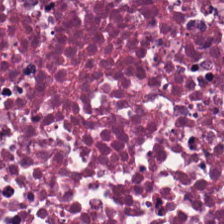Brightfield microscopy · hematoxylin and eosin · 224×224 px patch. Q: Classify this patch.
A: This is cellular debris.
